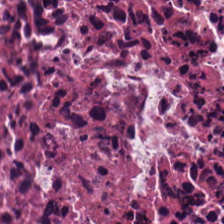Stain: H&E.
Tissue class: cellular debris.
